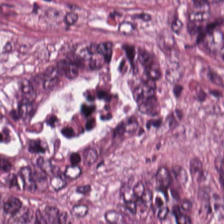Hematoxylin-and-eosin stained section. The predominant tissue is adenocarcinoma.
